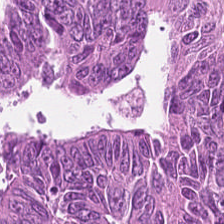The predominant tissue is colorectal adenocarcinoma.
